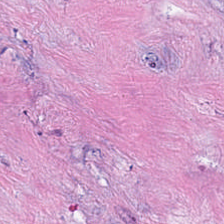H&E — desmoplastic stroma.
